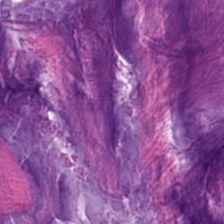Hematoxylin-and-eosin stained section · brightfield microscopy · FFPE tissue section.
Q: What is shown in this field?
A: This is extracellular mucin.
